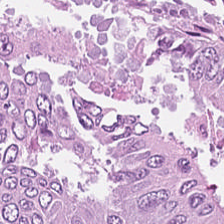20× equivalent magnification · hematoxylin and eosin — Malignant epithelium.
